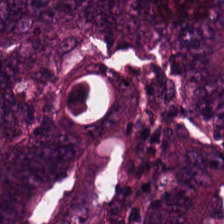H&E-stained tissue section · 0.5 microns per pixel. Q: What does this patch show?
A: Tumor epithelium.
